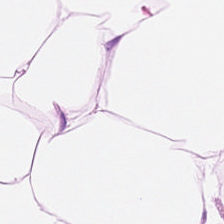H&E stain · FFPE · brightfield. Predominantly fat tissue.
